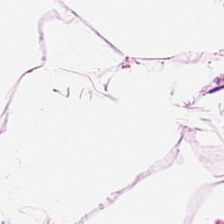Q: What tissue is shown?
A: It is fat tissue.
